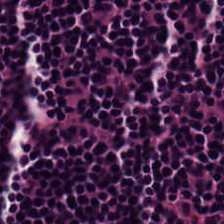H&E.
This field is lymphocyte aggregate.
